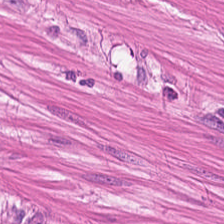Q: Identify the tissue.
A: This is smooth-muscle tissue.
